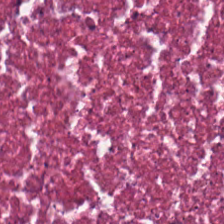Stain: hematoxylin-and-eosin stained section.
Tissue: necrotic debris.
